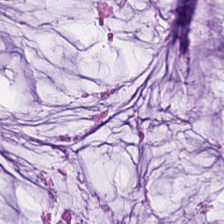Hematoxylin-and-eosin stained section.
Classification — extracellular mucin.
